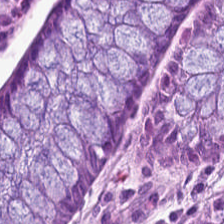Formalin-fixed paraffin-embedded section · hematoxylin and eosin — Classification: benign colonic mucosa.
